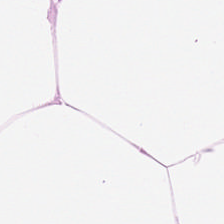The predominant tissue is adipocytes.
